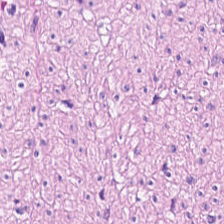Stain: hematoxylin-and-eosin stained section.
Preparation: FFPE.
Predominant tissue: smooth-muscle tissue.
